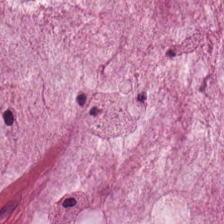Stain: H&E.
Tile size: 224×224 px patch.
Classification: mucus.
